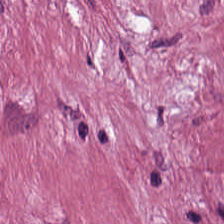H&E stain; 0.5 microns per pixel; 224×224 px tile. This field is tumor stroma.
